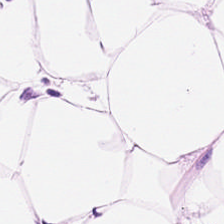Stain: H&E-stained tissue section.
Acquisition: WSI patch.
Tissue class: adipose tissue.
